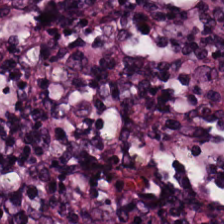Q: What is shown here?
A: Lymphocyte aggregate.
